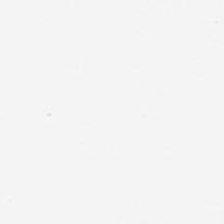H&E-stained tissue section; whole-slide-image patch. No tissue.
